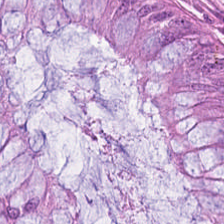Tissue type = normal colonic mucosa.
